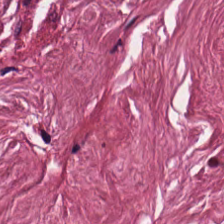Hematoxylin and eosin.
This patch shows tumor-associated stroma.
